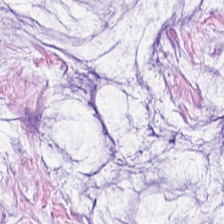Brightfield microscopy · FFPE tissue section · H&E stain. Q: Identify the tissue.
A: Mucus.
